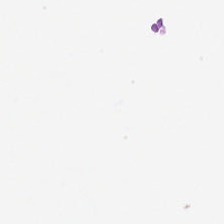H&E-stained tissue section — No tissue present; background only.
